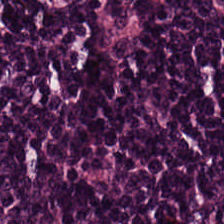H&E stain · 224×224 px patch — Classification: lymphoid infiltrate.
